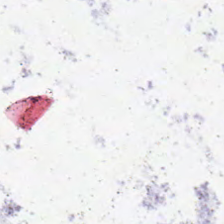H&E stain. Formalin-fixed paraffin-embedded section.
{"content": "background"}
